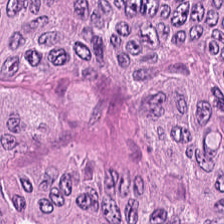The predominant tissue is colorectal adenocarcinoma.
